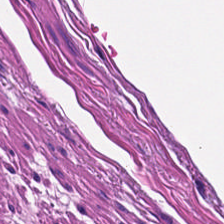224×224 px tile. Hematoxylin-and-eosin stained section — Smooth muscle.
